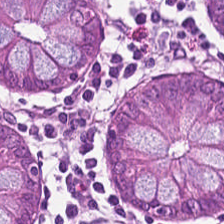The predominant tissue is normal colon mucosa.
